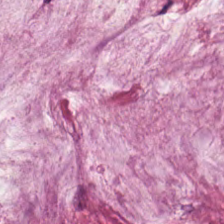Hematoxylin and eosin. Q: What type of tissue is this?
A: Extracellular mucin.
